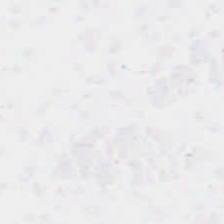H&E-stained tissue section — Field content: background.
